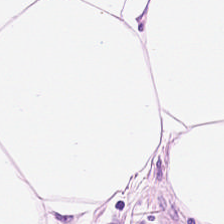Hematoxylin-and-eosin stained section.
This field is adipose.
